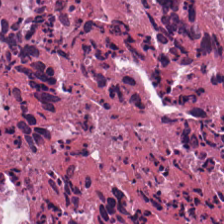H&E · 224×224 px patch. Q: What is shown here?
A: It is debris.
